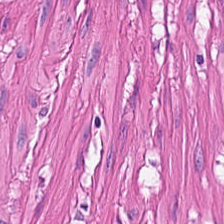H&E stain — Q: What is shown here?
A: This is smooth muscle.
